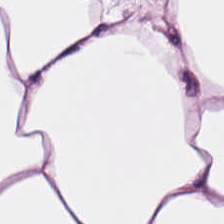H&E. Q: What is the predominant tissue type?
A: Fat tissue.
